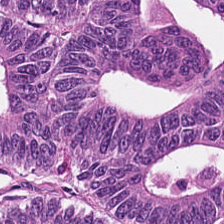H&E — Q: What does this patch show?
A: This is malignant epithelium.
